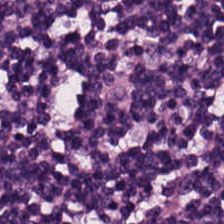H&E — The tissue here is lymphocyte aggregate.
